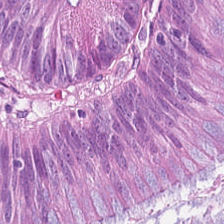H&E-stained tissue section — Predominant tissue — adenocarcinoma.
